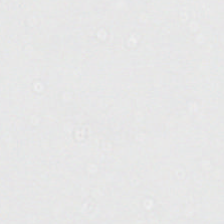Stain: H&E stain.
Field content: background.
